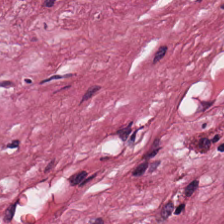Stain: H&E-stained tissue section.
Tissue: desmoplastic stroma.
